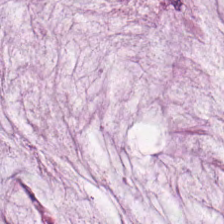H&E patch showing mucus.
